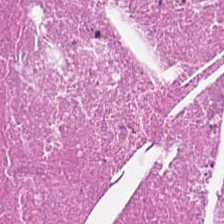Q: What is shown in this field?
A: Debris.
